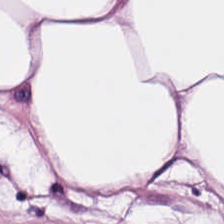Hematoxylin and eosin — The tissue is adipocytes.
